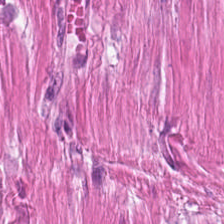0.5 microns per pixel; H&E-stained tissue section. Q: What is shown in this field?
A: This is smooth-muscle tissue.
